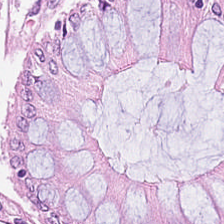H&E — normal colon mucosa.
